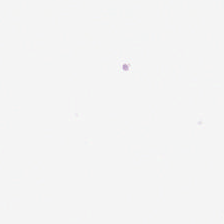This field is background (no tissue).
